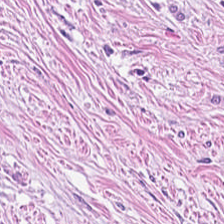H&E. Formalin-fixed paraffin-embedded section. The classification is desmoplastic stroma.
